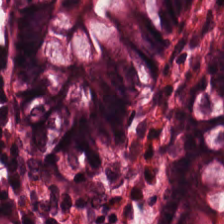H&E stain. Histology → benign colonic mucosa.
